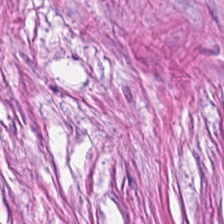H&E. The tissue here is tumor stroma.
